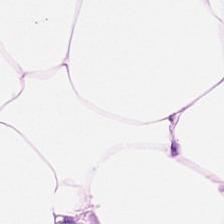H&E — fat tissue.
